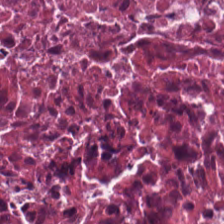Brightfield microscopy · H&E stain · 224×224 px tile.
The tissue here is cellular debris.
